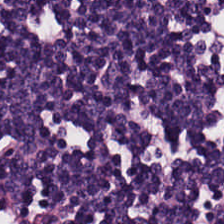FFPE · hematoxylin-and-eosin stained section · whole-slide-image patch. Q: Classify this patch.
A: This is lymphocytes.
